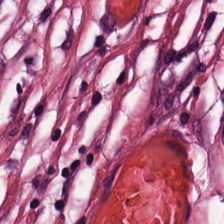WSI patch. H&E. Predominantly tumor stroma.
